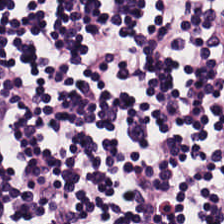WSI patch; H&E-stained tissue section — Showing lymphocyte aggregate.
